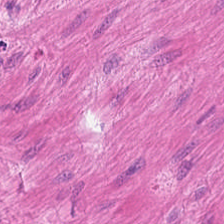H&E stain. This field is smooth-muscle tissue.
